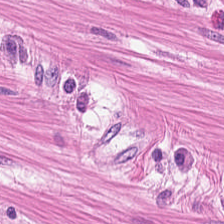Stain: H&E.
Predominant tissue: muscularis.
